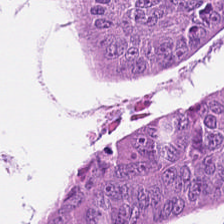FFPE tissue section; 20× equivalent magnification; hematoxylin and eosin.
Tumor epithelium.
